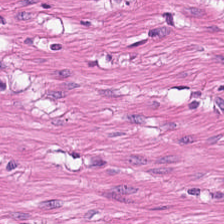{"tissue_type": "smooth-muscle tissue"}
